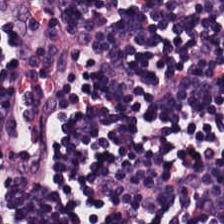224×224 px tile. FFPE. H&E. Q: What is shown here?
A: The field shows lymphoid infiltrate.
